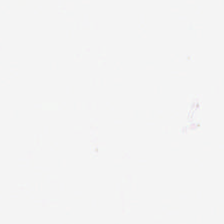No tissue present; background only.
